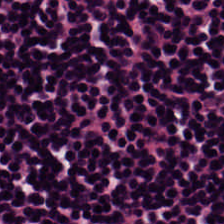Hematoxylin-and-eosin stained section. Lymphocytes.
